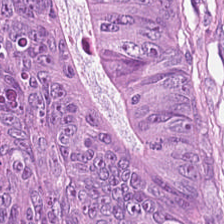H&E stain; 0.5 microns per pixel.
Q: What type of tissue is this?
A: This is tumor epithelium.
